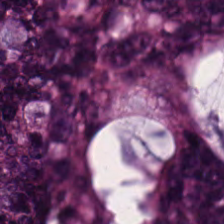H&E — {"tissue_type": "tumor epithelium"}
